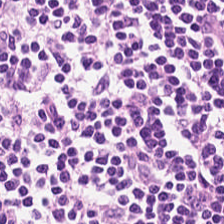Stain: H&E stain.
Tile size: 224×224 px tile.
Tissue type: lymphocytic infiltrate.
